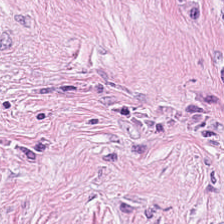H&E-stained tissue section showing tumor stroma.
